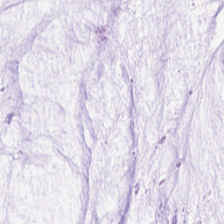224×224 px tile · H&E. Finding — mucin.
